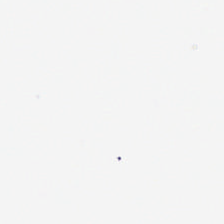H&E stain. Q: Classify this patch.
A: It is background (no tissue).
